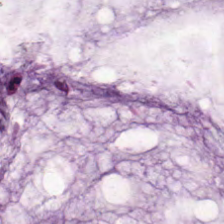H&E-stained tissue section · 224×224 px tile · FFPE tissue section. This field is mucin.
